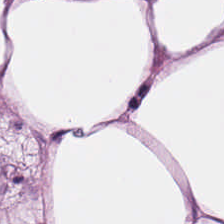H&E-stained tissue section; 0.5 microns per pixel; brightfield microscopy.
Q: What tissue is shown?
A: This is adipose.
